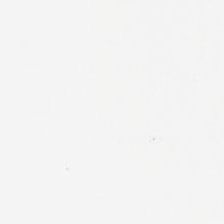H&E-stained tissue section. 0.5 µm per pixel.
This field is background (no tissue).
